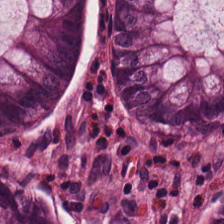Stain: H&E-stained tissue section.
Predominant tissue: normal colon mucosa.
